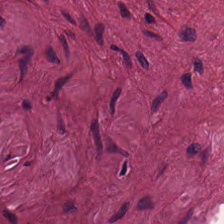Hematoxylin and eosin · 224×224 px patch · FFPE tissue section — The tissue here is tumor stroma.
